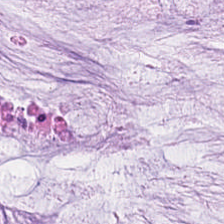H&E.
Tissue type — mucus.
